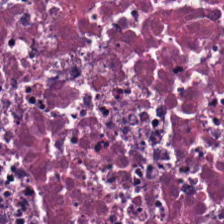Hematoxylin and eosin. FFPE tissue section.
Showing cellular debris.
